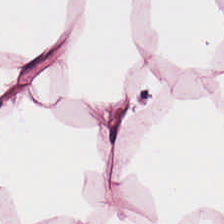Hematoxylin-and-eosin stained section. The tissue here is adipocytes.
